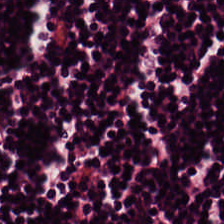H&E-stained tissue section; whole-slide-image patch — This field is lymphoid infiltrate.
